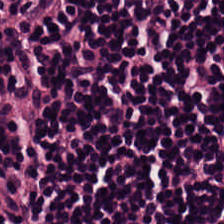224×224 pixel tile. 20× equivalent magnification. H&E-stained tissue section — The tissue here is lymphoid infiltrate.
